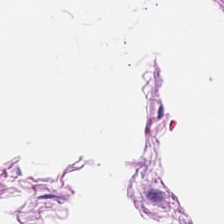H&E-stained tissue section.
Showing muscularis.
